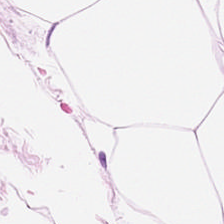20× equivalent magnification. H&E stain.
Predominant tissue: adipocytes.
